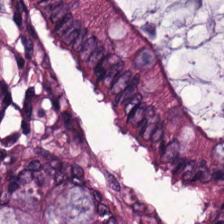Stain: H&E-stained tissue section.
Tile size: 224×224 pixel tile.
Predominant tissue: normal colon mucosa.
